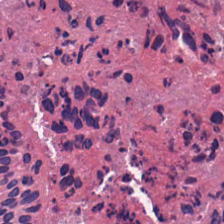0.5 µm per pixel. 224×224 px patch. H&E. Q: What is shown here?
A: This is debris.
